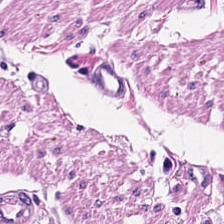Q: What tissue is shown?
A: It is smooth muscle.
